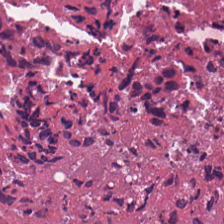H&E stain — Cellular debris.
